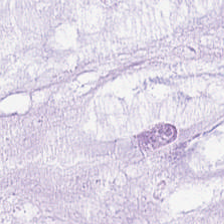FFPE · H&E stain — Finding → extracellular mucin.
